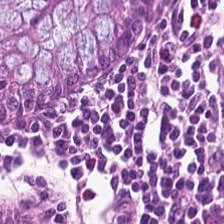20× equivalent magnification · brightfield microscopy · H&E stain — Predominantly normal colon mucosa.
